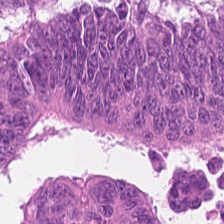FFPE; hematoxylin and eosin.
The predominant tissue is colorectal adenocarcinoma epithelium.
